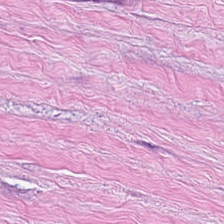H&E stain. This patch shows tumor-associated stroma.
